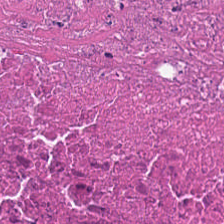Hematoxylin-and-eosin stained section · 224×224 pixel tile · FFPE. Q: Classify this patch.
A: This is necrotic debris.
